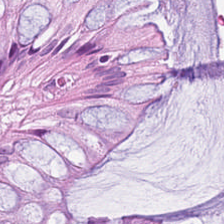H&E-stained tissue section — The tissue here is normal colon mucosa.
